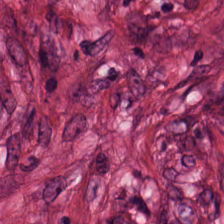H&E stain. Formalin-fixed paraffin-embedded section. 0.5 microns per pixel.
Classification: tumor stroma.
